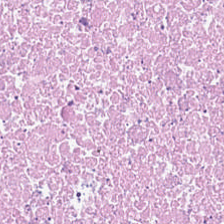Hematoxylin-and-eosin stained section. Showing debris.
